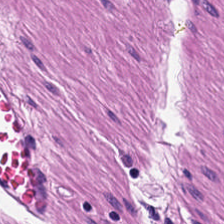Hematoxylin and eosin.
This field is smooth muscle.
